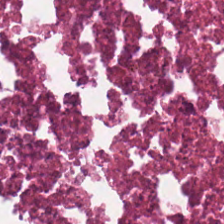Q: What does this patch show?
A: The field shows cellular debris.
